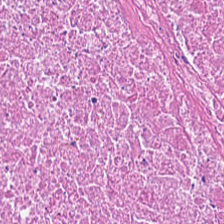224×224 px tile. H&E-stained tissue section. WSI patch.
Tissue = debris.
